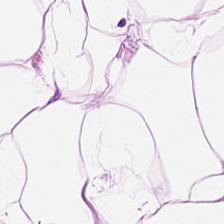Hematoxylin-and-eosin stained section — Q: What is the predominant tissue type?
A: Adipocytes.
